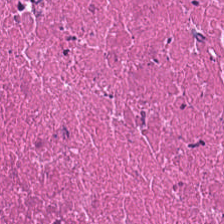Hematoxylin-and-eosin stained section · formalin-fixed paraffin-embedded section · brightfield.
Predominant tissue: debris.
